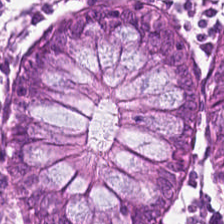Stain: hematoxylin and eosin.
Tissue: normal colon mucosa.
